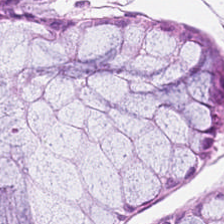Hematoxylin and eosin. Tissue type: non-neoplastic colon mucosa.
